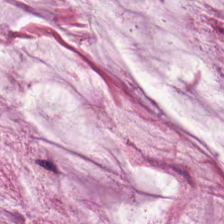H&E-stained tissue section — Q: What is shown in this field?
A: The field shows mucin.
